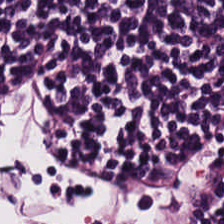Hematoxylin and eosin; 0.5 µm per pixel — Predominantly lymphocytic infiltrate.
